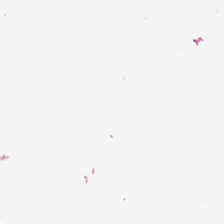H&E stain. WSI patch.
Empty field — background (no tissue).
